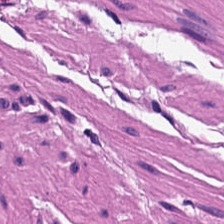H&E stain · brightfield microscopy · 0.5 µm/px — Classification — smooth muscle.
